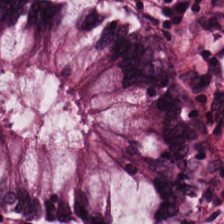0.5 µm/px. H&E-stained tissue section. Benign colonic mucosa.
